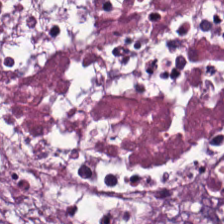This patch shows debris.
